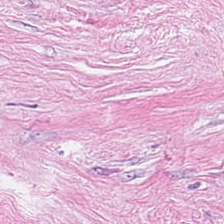H&E — cancer-associated stroma.
